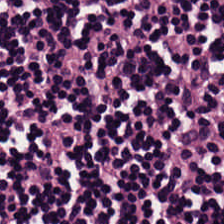Stain: H&E.
Acquisition: WSI patch.
Preparation: formalin-fixed paraffin-embedded section.
Tissue: lymphocyte aggregate.
